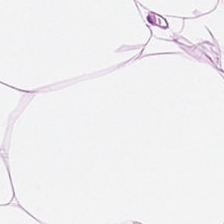Showing fat tissue.
